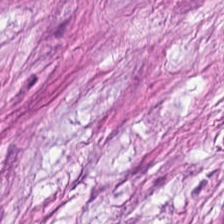WSI patch; 0.5 microns per pixel; H&E-stained tissue section.
Q: Classify this patch.
A: Desmoplastic stroma.
